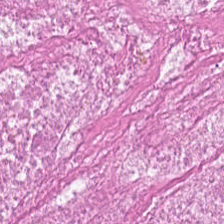H&E-stained tissue section. The tissue class is cellular debris.
